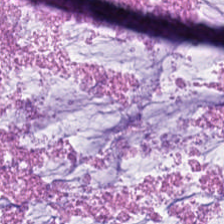Hematoxylin-and-eosin stained section. FFPE. The predominant tissue is mucus.
